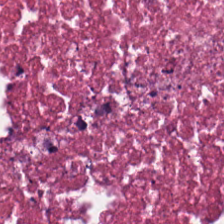Histology — debris.
